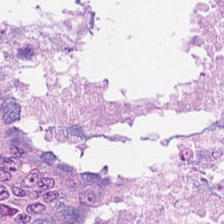H&E stain — This patch shows colorectal adenocarcinoma.
